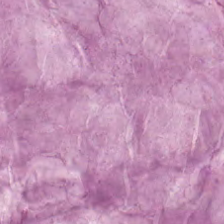H&E stain. Mucus.
